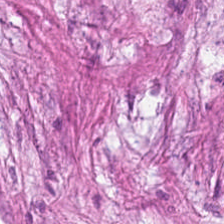Q: What does this patch show?
A: Cancer-associated stroma.
